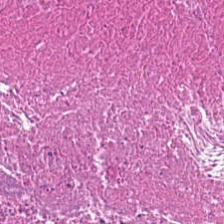H&E. The tissue here is debris.
